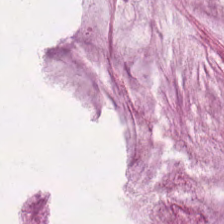Tissue type — mucus.
